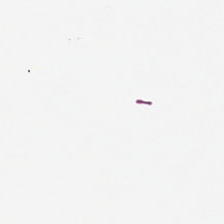H&E-stained tissue section — The field content is background.
